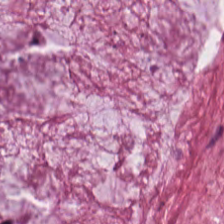Tissue class: extracellular mucin.
